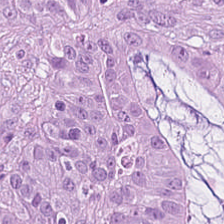224×224 pixel tile; hematoxylin-and-eosin stained section — This field is colorectal adenocarcinoma epithelium.
